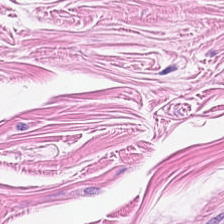H&E.
Showing smooth muscle.
